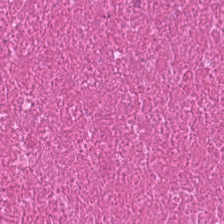Whole-slide-image patch; H&E.
The tissue here is debris.
